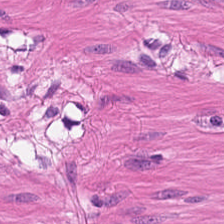FFPE · hematoxylin-and-eosin stained section. Classification — smooth-muscle tissue.
